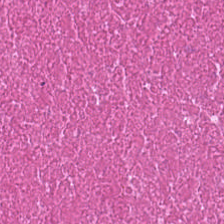H&E-stained tissue section. Brightfield microscopy.
The tissue is cellular debris.
